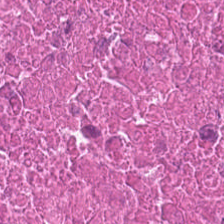H&E. Impression → debris.
